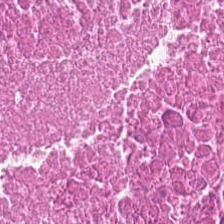H&E-stained tissue section — Predominant tissue — debris.
